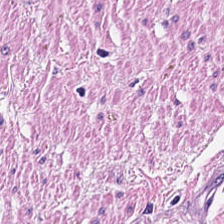Impression — smooth-muscle tissue.
